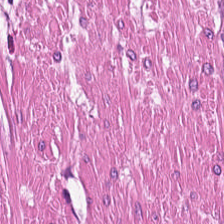H&E · WSI patch. Smooth-muscle tissue.
